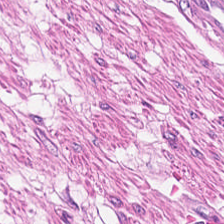{"tissue_type": "smooth muscle"}
